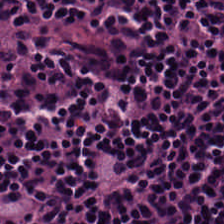FFPE. H&E. Tissue — lymphocytes.
